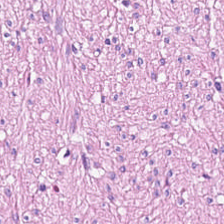Hematoxylin-and-eosin stained section.
Showing smooth muscle.
